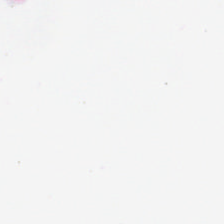H&E.
Histology — empty background.
